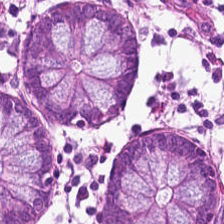H&E-stained tissue section.
This patch shows non-neoplastic colon mucosa.
